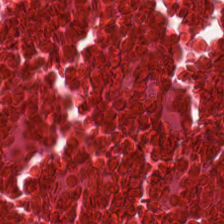Whole-slide-image patch. H&E. 0.5 µm/px. The classification is necrotic debris.
